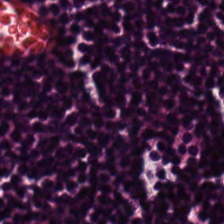WSI patch. 20× equivalent magnification. H&E — Predominantly lymphocyte aggregate.
